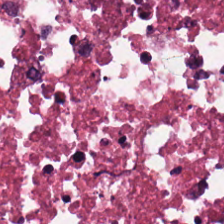H&E stain — Q: What type of tissue is this?
A: Debris.
